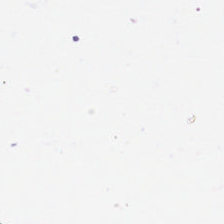H&E stain — Classification — background (no tissue).
